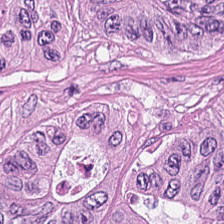Hematoxylin-and-eosin stained section.
The predominant tissue is adenocarcinoma.
